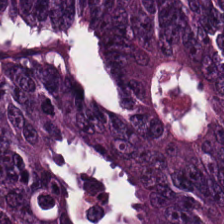H&E · 224×224 px tile · 0.5 µm/px — This patch shows malignant epithelium.
